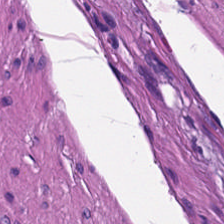H&E — Predominantly smooth muscle.
